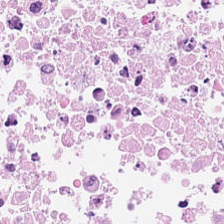Tissue — debris.
